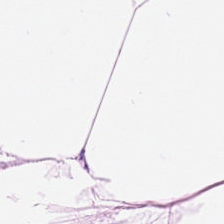0.5 µm/px. Hematoxylin-and-eosin stained section. WSI patch — Tissue — fat tissue.
